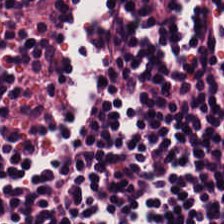H&E.
Q: What is shown in this field?
A: The field shows lymphocytes.
